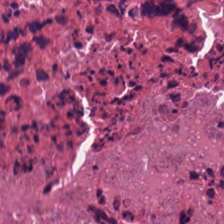H&E-stained tissue section. Finding — cellular debris.
